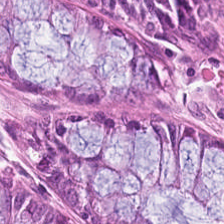H&E. WSI patch. 224×224 px patch.
Q: What is shown in this field?
A: The field shows benign colonic mucosa.
